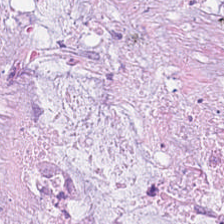Hematoxylin-and-eosin stained section — Q: Identify the tissue.
A: The field shows mucin.
